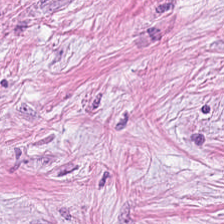224×224 px patch; H&E stain — The predominant tissue is cancer-associated stroma.
